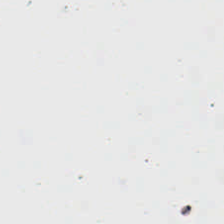H&E.
Q: What does this patch show?
A: The field shows background (no tissue).
